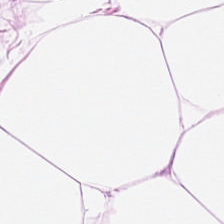Classification: fat tissue.
